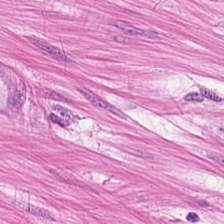224×224 px tile. Formalin-fixed paraffin-embedded section. H&E-stained tissue section.
Q: What tissue is shown?
A: This is muscularis.
